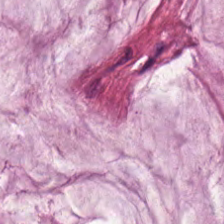Hematoxylin and eosin — Mucin.
